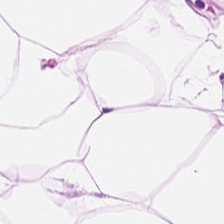H&E-stained tissue section.
Tissue = fat tissue.
